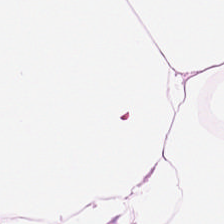H&E-stained tissue section.
Predominantly adipocytes.
